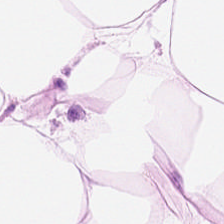Hematoxylin-and-eosin stained section — Classification: adipose.
